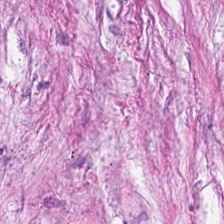H&E — Tissue type: tumor stroma.
